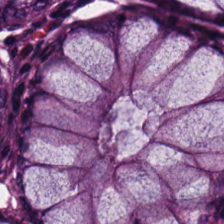Impression — non-neoplastic colon mucosa.
